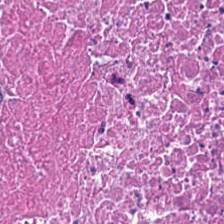Hematoxylin and eosin. Histology → necrotic debris.
